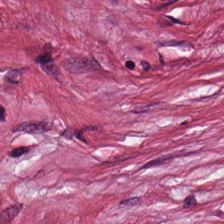H&E stain. Q: What is shown here?
A: Tumor-associated stroma.
